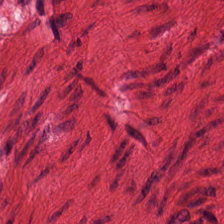Hematoxylin and eosin; FFPE tissue section. Q: Classify this patch.
A: It is smooth muscle.
